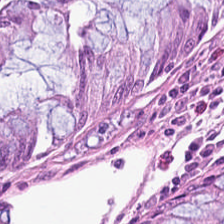0.5 µm per pixel; hematoxylin and eosin — Histology — non-neoplastic colon mucosa.
